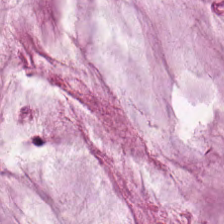Stain: H&E-stained tissue section.
Predominant tissue: mucin.
